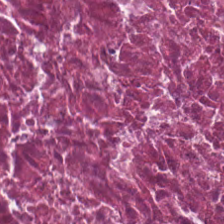Hematoxylin and eosin — The classification is cellular debris.
